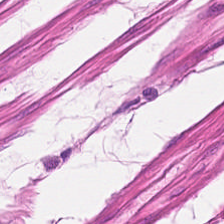Stain: hematoxylin and eosin.
Tissue class: muscularis.
